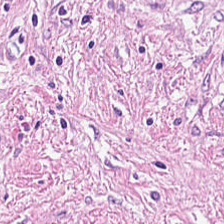H&E.
Predominant tissue: cancer-associated stroma.
